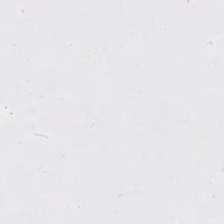Stain: H&E-stained tissue section.
Resolution: 0.5 µm per pixel.
Classification: no tissue.
